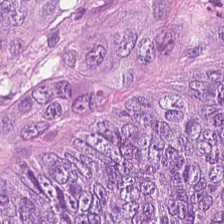H&E-stained tissue section.
Colorectal adenocarcinoma epithelium.
